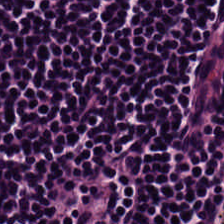H&E-stained tissue section. This field is lymphocytes.
